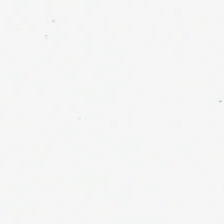H&E; 224×224 px tile.
This field is background (no tissue).
